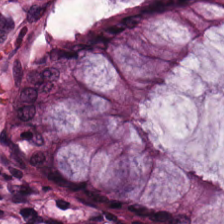224×224 px tile; H&E — Showing normal colonic mucosa.
